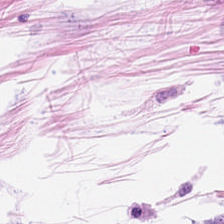H&E-stained tissue section — Tissue type: fat tissue.
